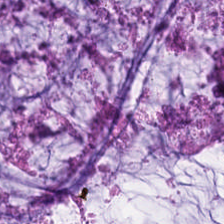Whole-slide-image patch · H&E. Finding — mucus.
